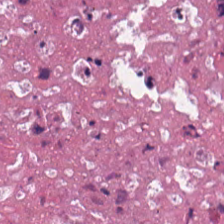Hematoxylin and eosin. Finding → cellular debris.
